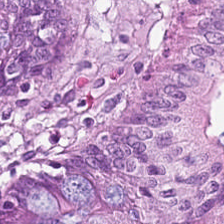Hematoxylin-and-eosin stained section. Normal colon mucosa.
